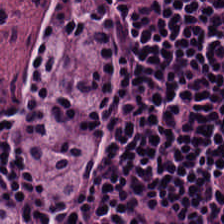224×224 pixel tile; H&E-stained tissue section — Q: What tissue is shown?
A: Lymphoid infiltrate.
